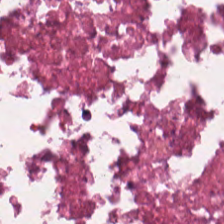H&E stain — Showing cellular debris.
